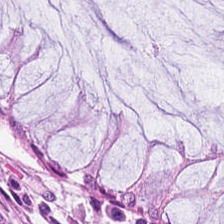Stain: hematoxylin-and-eosin stained section.
Resolution: 0.5 µm/px.
Tissue type: benign colonic mucosa.
